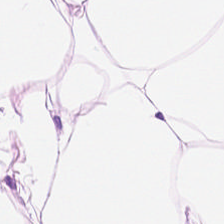H&E stain. This field is fat tissue.
